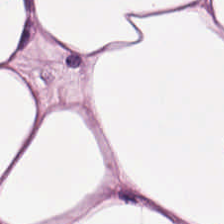0.5 microns per pixel; H&E stain — Q: Identify the tissue.
A: This is adipose.
